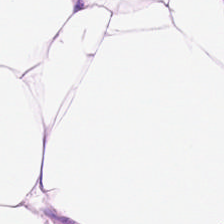Stain: H&E stain.
Resolution: 0.5 microns per pixel.
Tissue type: fat tissue.
